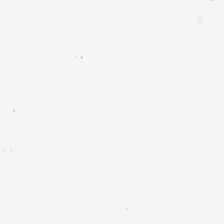Q: What is shown in this field?
A: The field shows empty background.
